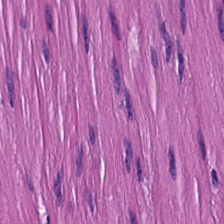Stain: H&E stain.
Preparation: FFPE tissue section.
Predominant tissue: smooth muscle.
